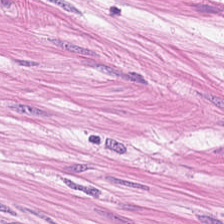H&E-stained tissue section; brightfield microscopy; FFPE — Predominantly smooth-muscle tissue.
